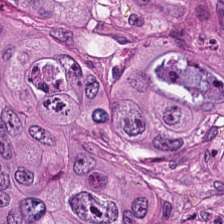H&E. Q: What type of tissue is this?
A: The field shows adenocarcinoma.
